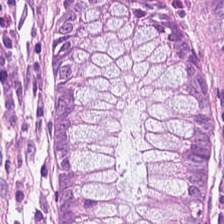224×224 px tile · H&E stain.
The predominant tissue is normal colonic mucosa.
